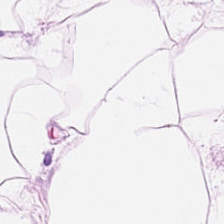FFPE. Hematoxylin and eosin.
Adipose tissue.
